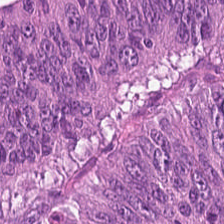H&E stain. Tissue = colorectal adenocarcinoma epithelium.
